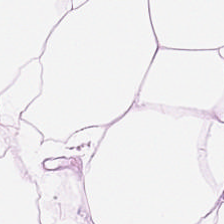Q: What is the predominant tissue type?
A: It is adipose.
